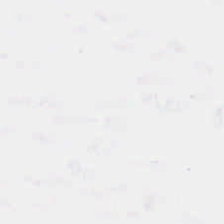FFPE. Brightfield microscopy. H&E-stained tissue section. Background (no tissue).
